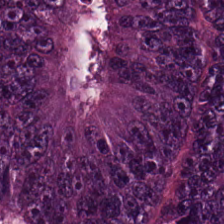Whole-slide-image patch; H&E; 224×224 pixel tile — Colorectal adenocarcinoma epithelium.
